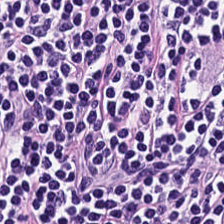H&E-stained tissue section. Whole-slide-image patch — Lymphoid infiltrate.
